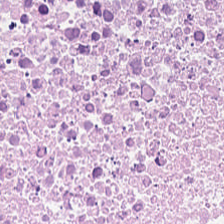Tissue type: debris.
